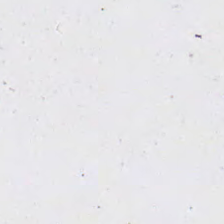Hematoxylin-and-eosin stained section — Content = no tissue.
